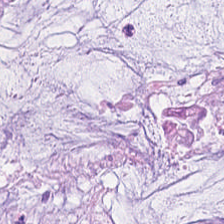Tissue — extracellular mucin.
